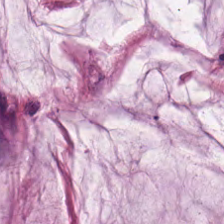Hematoxylin and eosin — Tissue: mucus.
